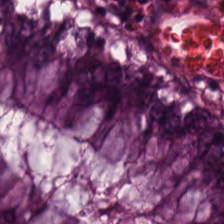WSI patch · H&E stain. Non-neoplastic colon mucosa.
